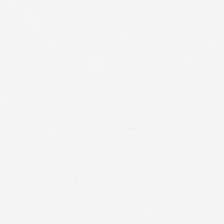Hematoxylin and eosin — Q: What does this patch show?
A: Background.
